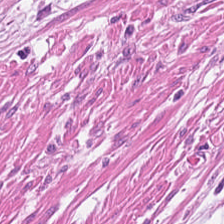The classification is muscularis.
